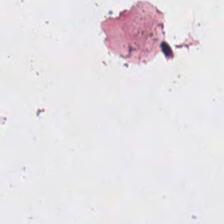Q: Classify this patch.
A: It is no tissue.
